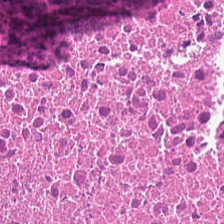H&E; WSI patch. The tissue is debris.
